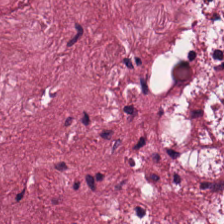FFPE tissue section. 0.5 µm/px. H&E — Predominantly tumor stroma.
